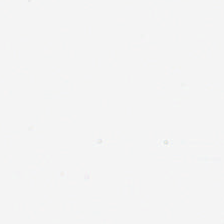H&E-stained tissue section — No tissue present; background only.
